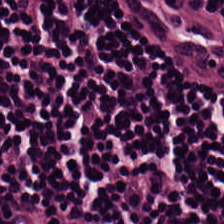H&E — Classification: lymphocyte aggregate.
